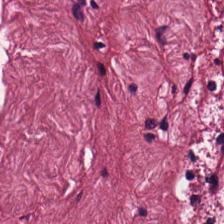Classification = cancer-associated stroma.
